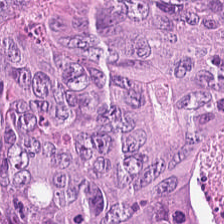FFPE tissue section · H&E stain. Showing colorectal adenocarcinoma.
